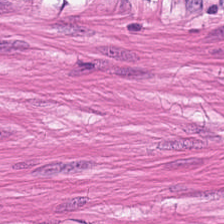Hematoxylin and eosin. FFPE. Q: What is shown in this field?
A: Smooth muscle.
